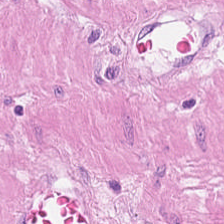H&E-stained tissue section; 0.5 µm/px.
Tissue class = muscularis.
